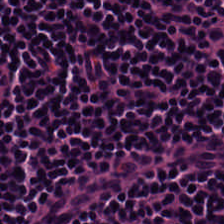Hematoxylin-and-eosin section: lymphoid infiltrate.
